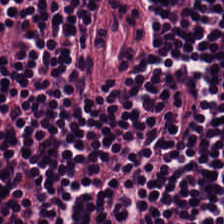Hematoxylin-and-eosin stained section — The predominant tissue is lymphocyte aggregate.
